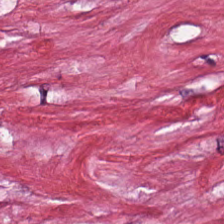H&E stain — Desmoplastic stroma.
